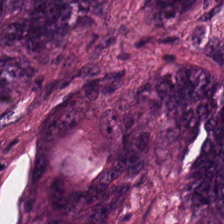Classification: colorectal adenocarcinoma.
